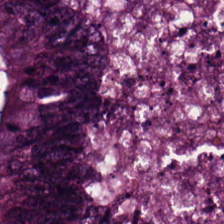0.5 µm/px; H&E; formalin-fixed paraffin-embedded section — Tissue — adenocarcinoma.
